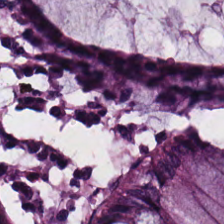Normal colonic mucosa.
